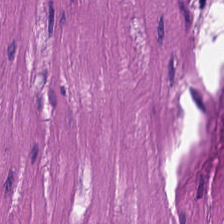Brightfield. Hematoxylin and eosin. Q: What is the predominant tissue type?
A: The field shows smooth muscle.
